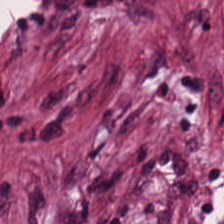Hematoxylin and eosin. 224×224 pixel tile.
This field is desmoplastic stroma.
